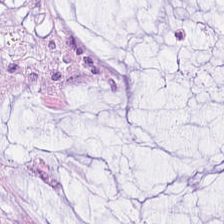Showing mucus.
